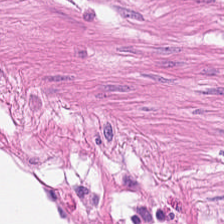0.5 µm per pixel. H&E. Q: What does this patch show?
A: Smooth-muscle tissue.
